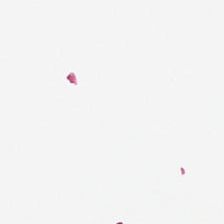Whole-slide-image patch; hematoxylin and eosin.
Histology → empty background.
